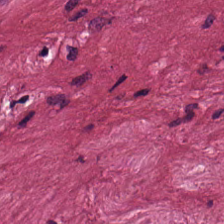Classification: cancer-associated stroma.
